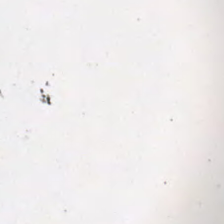Impression → no tissue.
